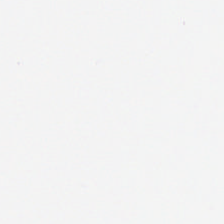This field is background (no tissue).
